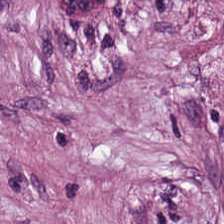H&E stain. This field is tumor-associated stroma.
